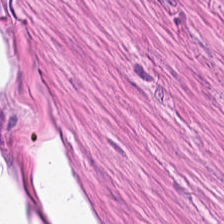H&E. 224×224 px patch. Smooth-muscle tissue.
